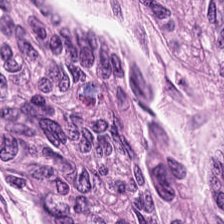H&E stain · whole-slide-image patch.
This field is colorectal adenocarcinoma epithelium.
